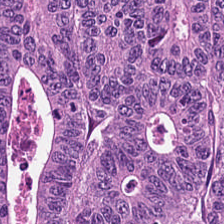H&E-stained tissue section — Showing colorectal adenocarcinoma epithelium.
